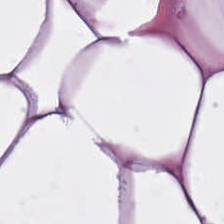H&E stain · formalin-fixed paraffin-embedded section — Q: What tissue type is shown here?
A: This is adipose.
